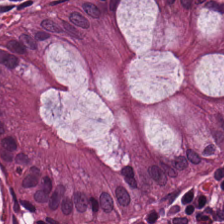H&E-stained tissue section · 224×224 px tile.
Finding — benign colonic mucosa.
